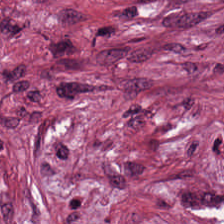0.5 µm per pixel. H&E stain. 224×224 px tile — The predominant tissue is desmoplastic stroma.
